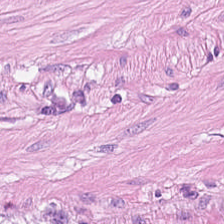Hematoxylin and eosin. Tissue = smooth muscle.
